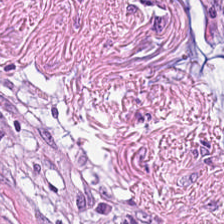FFPE · hematoxylin and eosin · 0.5 µm/px — Predominant tissue: cancer-associated stroma.
